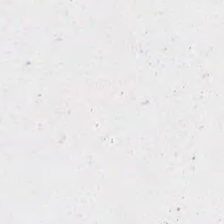Whole-slide-image patch. H&E stain. 0.5 microns per pixel — This patch shows empty background.
